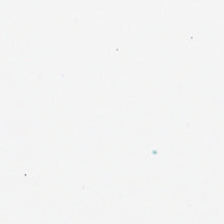This patch shows background (no tissue).
